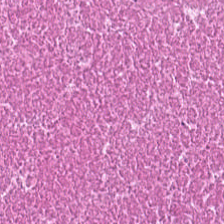Whole-slide-image patch · hematoxylin and eosin.
Necrotic debris.
